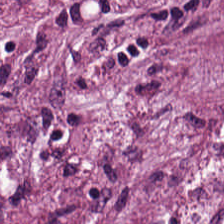Predominantly tumor-associated stroma.
